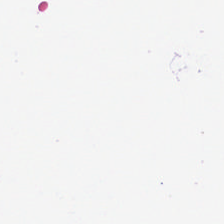WSI patch · hematoxylin and eosin. Q: What is shown here?
A: This is no tissue.
